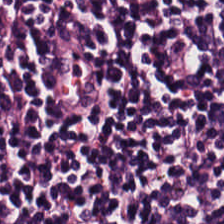H&E stain — The classification is lymphocyte aggregate.
